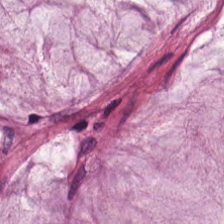Hematoxylin and eosin. This field is mucus.
